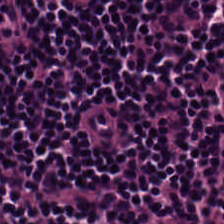Stain: H&E-stained tissue section.
Tissue type: lymphocytes.
